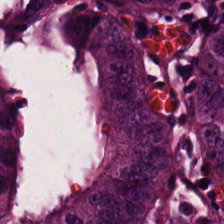This patch shows colorectal adenocarcinoma epithelium.
